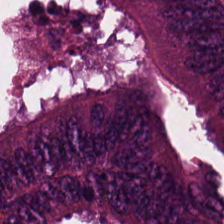Q: What is shown in this field?
A: The field shows colorectal adenocarcinoma.
